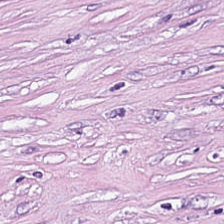Hematoxylin and eosin. 0.5 µm per pixel.
The tissue here is tumor stroma.
